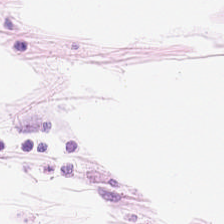H&E stain — Predominant tissue = adipose tissue.
